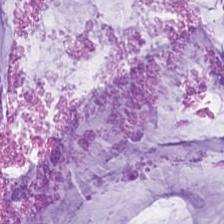Hematoxylin-and-eosin stained section. FFPE — Tissue: mucin.
